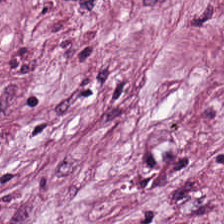Stain: H&E stain.
Tissue class: cancer-associated stroma.
